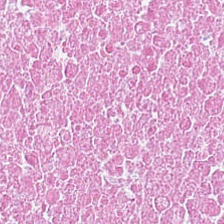H&E stain — Q: What tissue type is shown here?
A: Cellular debris.
